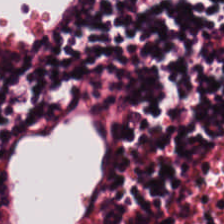{"tissue_type": "lymphocytic infiltrate"}
